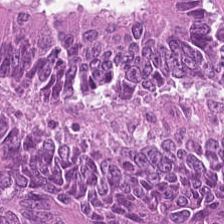FFPE; hematoxylin and eosin.
Q: What tissue type is shown here?
A: Malignant epithelium.
